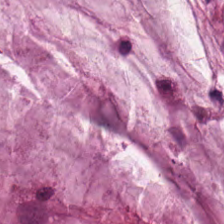Histology — mucus.
